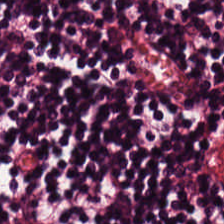Hematoxylin-and-eosin stained section; 0.5 microns per pixel — Predominant tissue: lymphocyte aggregate.
